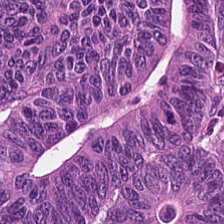Hematoxylin-and-eosin stained section. Histology — adenocarcinoma.
